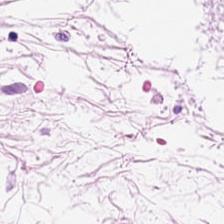Hematoxylin-and-eosin stained section — This patch shows fat tissue.
